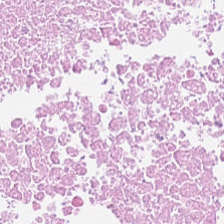Tissue class — necrotic debris.
